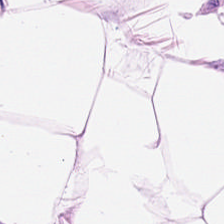H&E stain · brightfield microscopy.
This field is fat tissue.
